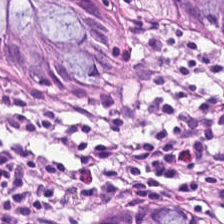H&E-stained tissue section — {"tissue_type": "normal colon mucosa"}
